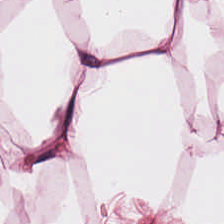Stain: hematoxylin and eosin.
Classification: adipose tissue.
